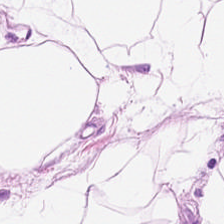H&E. Predominantly adipose.
